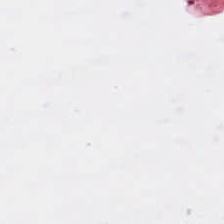Hematoxylin-and-eosin stained section — This patch shows no tissue.
